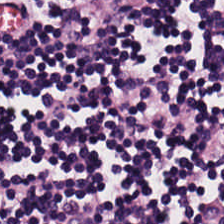0.5 µm/px · H&E stain.
Tissue type = lymphoid infiltrate.
